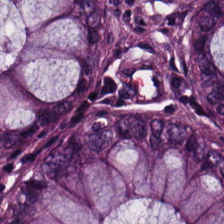H&E — Tissue type: non-neoplastic colon mucosa.
